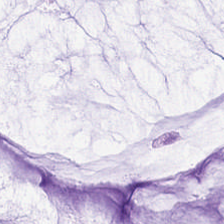Hematoxylin and eosin.
The predominant tissue is extracellular mucin.
